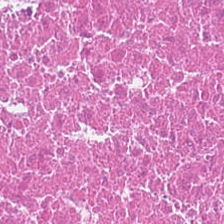WSI patch · H&E. Showing debris.
